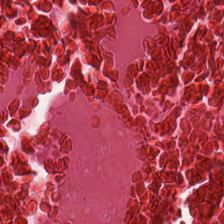Stain: hematoxylin-and-eosin stained section.
Tile size: 224×224 px patch.
Tissue class: necrotic debris.
